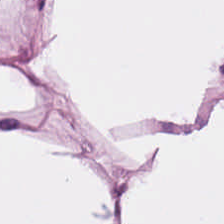H&E patch showing fat tissue.
